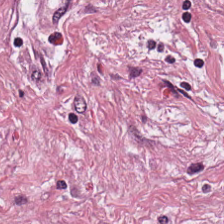Tissue type: desmoplastic stroma.
